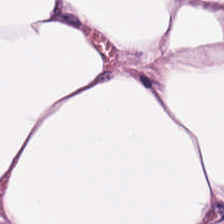Histology → fat tissue.
